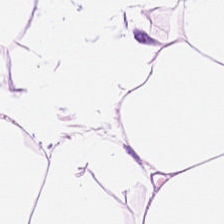H&E-stained tissue section. Tissue: fat tissue.
